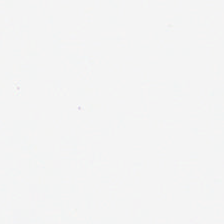Background — no tissue in this field.
